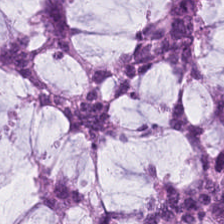Stain: H&E.
Tile size: 224×224 px patch.
Acquisition: brightfield microscopy.
Predominant tissue: mucin.
